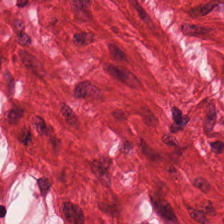Stain: hematoxylin-and-eosin stained section.
Resolution: 20× equivalent magnification.
Preparation: formalin-fixed paraffin-embedded section.
Tissue type: muscularis.
